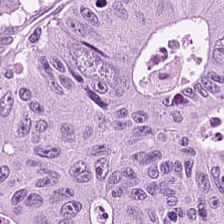Q: Classify this patch.
A: This is adenocarcinoma.
